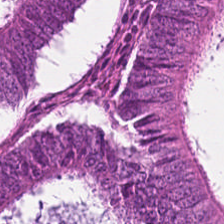H&E-stained tissue section; FFPE tissue section; whole-slide-image patch — Colorectal adenocarcinoma.
